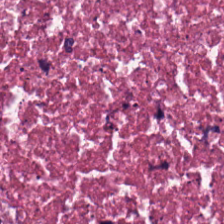H&E-stained tissue section · FFPE tissue section — Finding — debris.
